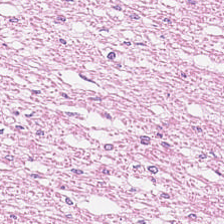H&E stain. Showing smooth-muscle tissue.
